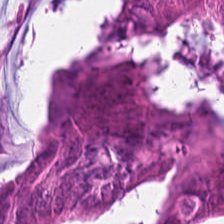Tissue class: colorectal adenocarcinoma epithelium.
